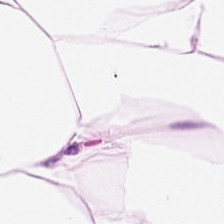Formalin-fixed paraffin-embedded section · H&E. Showing adipose tissue.
